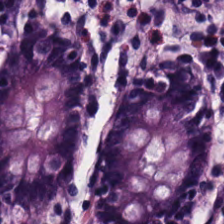Hematoxylin-and-eosin stained section. 20× equivalent magnification.
This field is normal colon mucosa.
